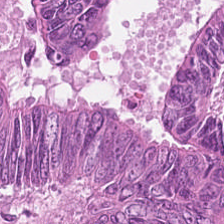WSI patch; hematoxylin-and-eosin stained section; 224×224 px patch — {"tissue_type": "malignant epithelium"}
